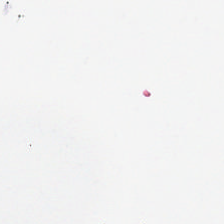FFPE tissue section · H&E-stained tissue section — This patch shows background.
